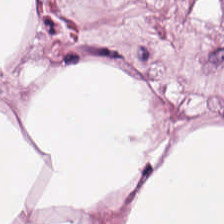Q: What tissue type is shown here?
A: Adipocytes.
